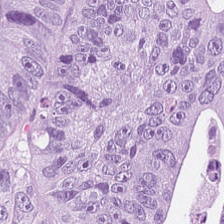0.5 µm/px · H&E · FFPE.
The predominant tissue is malignant epithelium.
